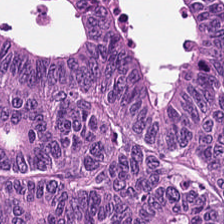0.5 µm per pixel; whole-slide-image patch; H&E-stained tissue section. Tissue class: adenocarcinoma.
